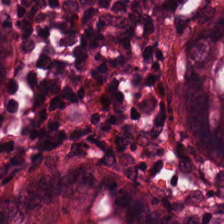Hematoxylin and eosin — Showing normal colonic mucosa.
